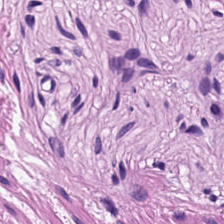Tissue — smooth-muscle tissue.
